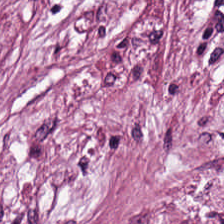{"tissue_type": "tumor-associated stroma"}
